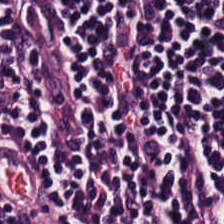Hematoxylin-and-eosin stained section; whole-slide-image patch.
This field is lymphocytes.
